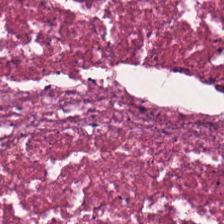H&E-stained tissue section. FFPE. 224×224 px patch.
{"tissue_type": "necrotic debris"}
